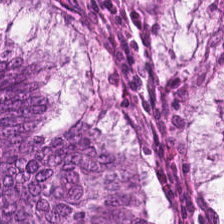This patch shows colorectal adenocarcinoma epithelium.
